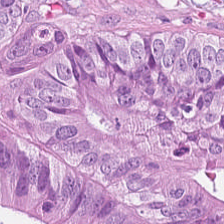0.5 µm/px · H&E stain · WSI patch.
Tissue type = colorectal adenocarcinoma.
